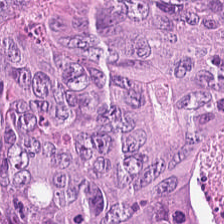Hematoxylin-and-eosin section: tumor epithelium.
